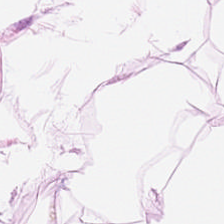Formalin-fixed paraffin-embedded section; hematoxylin and eosin; 0.5 µm/px — The tissue is adipose.
